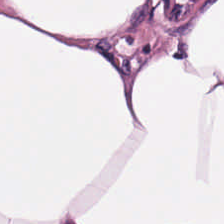H&E-stained tissue section — Q: What tissue is shown?
A: Adipose tissue.
